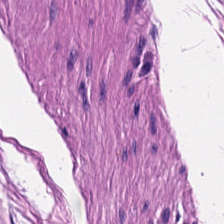Hematoxylin and eosin — Classification — smooth-muscle tissue.
